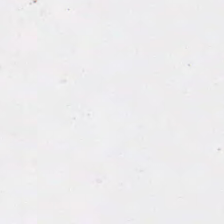Histology → no tissue.
